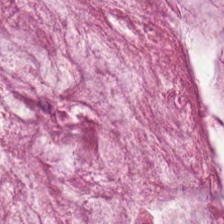Q: What is the predominant tissue type?
A: It is extracellular mucin.
